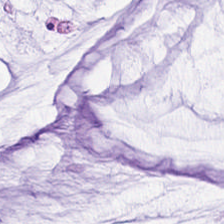WSI patch. H&E. Formalin-fixed paraffin-embedded section. Predominantly mucus.
